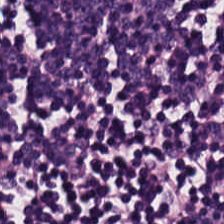Q: Classify this patch.
A: The field shows lymphocytic infiltrate.
